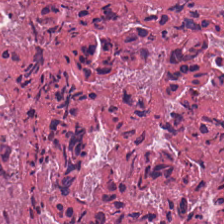H&E-stained tissue section. 224×224 px patch. 0.5 µm/px — Necrotic debris.
